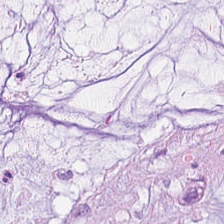Histology → mucin.
